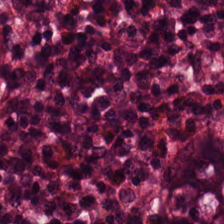H&E — normal colonic mucosa.
